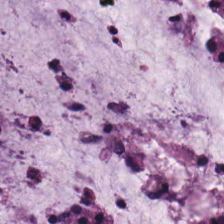H&E stain. Brightfield microscopy. 0.5 µm per pixel. {"tissue_type": "mucus"}
